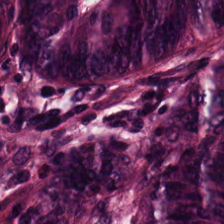Hematoxylin and eosin · 224×224 px patch.
This patch shows colorectal adenocarcinoma.
